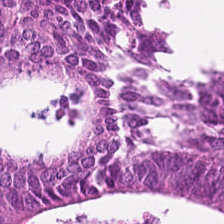Brightfield microscopy. Hematoxylin-and-eosin stained section.
Tissue class: tumor epithelium.
